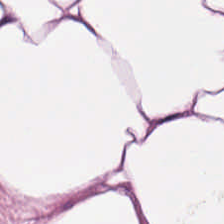H&E stain.
The classification is adipose.
